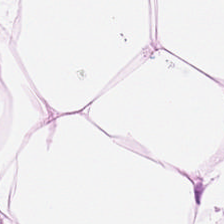Stain: hematoxylin and eosin.
Classification: adipose tissue.
